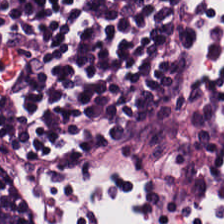Stain: H&E.
Tissue type: lymphocytic infiltrate.
